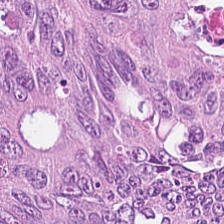The tissue class is tumor epithelium.
